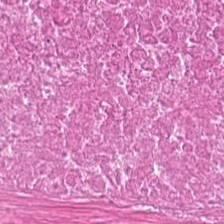Hematoxylin-and-eosin stained section. Q: What tissue is shown?
A: This is debris.
